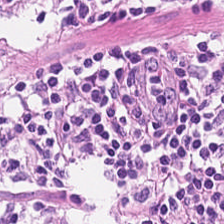H&E stain. Tissue — lymphocytes.
